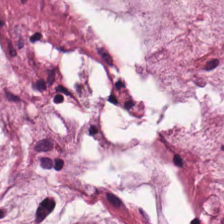Whole-slide-image patch · H&E stain. The predominant tissue is extracellular mucin.
